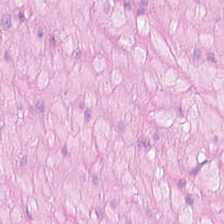0.5 µm/px. 224×224 px tile. H&E-stained tissue section.
This field is smooth muscle.
